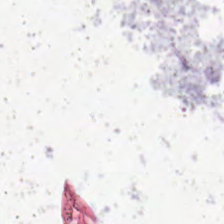H&E stain.
No tissue present; background only.
